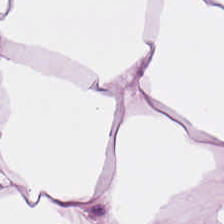Tissue class = adipose tissue.
